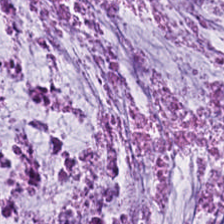Tissue — mucus.
